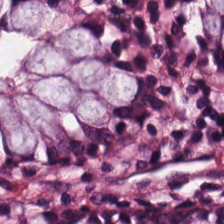0.5 µm per pixel · H&E.
Finding — benign colonic mucosa.
